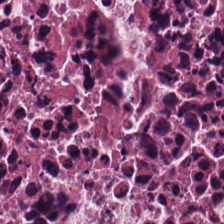H&E. 0.5 µm per pixel.
Q: Identify the tissue.
A: The field shows debris.
